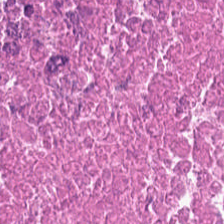Finding — debris.
